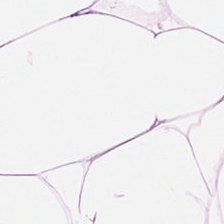H&E-stained tissue section showing adipose.
